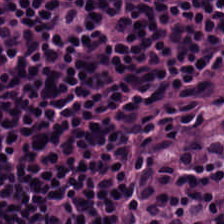Q: What does this patch show?
A: The field shows lymphoid infiltrate.
